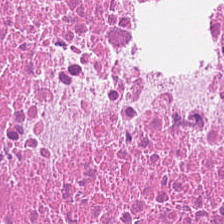H&E. Predominantly debris.
